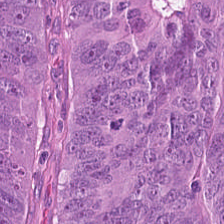Predominant tissue: adenocarcinoma.
